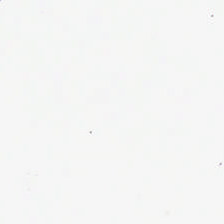H&E. Q: What is shown in this field?
A: Background.
